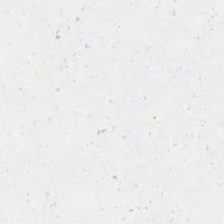Hematoxylin-and-eosin stained section. The field content is no tissue.
